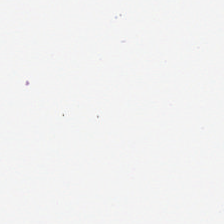Stain: hematoxylin-and-eosin stained section.
Resolution: 0.5 microns per pixel.
Preparation: FFPE.
Field content: background.
